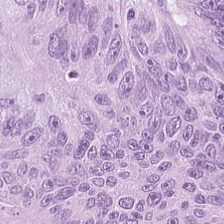The classification is adenocarcinoma.
